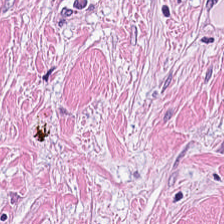Brightfield microscopy; hematoxylin-and-eosin stained section — This patch shows tumor stroma.
